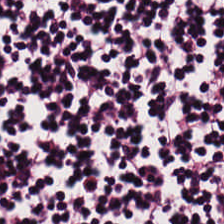H&E-stained tissue section.
Tissue type = lymphoid infiltrate.
